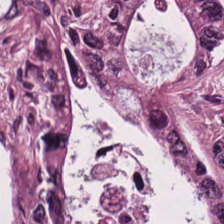Q: What tissue type is shown here?
A: The field shows tumor epithelium.
